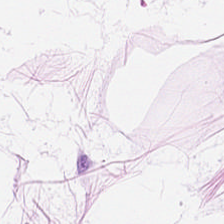Stain: hematoxylin and eosin.
Resolution: 0.5 µm/px.
Tile size: 224×224 px patch.
Tissue: fat tissue.
